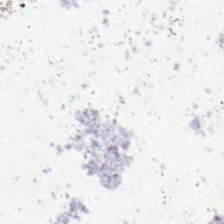Q: What is shown in this field?
A: It is background (no tissue).
